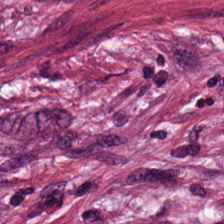H&E-stained tissue section.
{"tissue_type": "cancer-associated stroma"}
